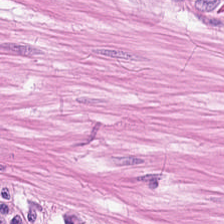Stain: hematoxylin-and-eosin stained section.
Tissue type: muscularis.
